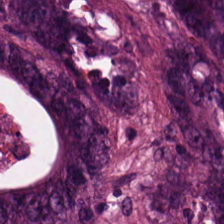Impression — colorectal adenocarcinoma.
